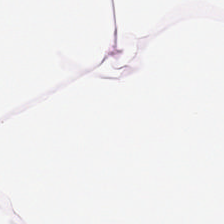H&E stain — Finding → adipocytes.
